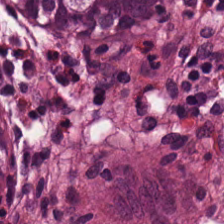Stain: H&E stain.
Preparation: formalin-fixed paraffin-embedded section.
Classification: benign colonic mucosa.
